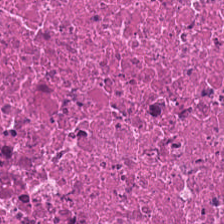H&E stain.
Predominantly debris.
